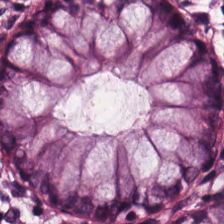H&E-stained tissue section. WSI patch. Predominantly non-neoplastic colon mucosa.
